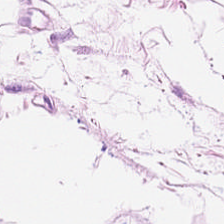224×224 px patch; H&E stain; FFPE.
The predominant tissue is adipose tissue.
